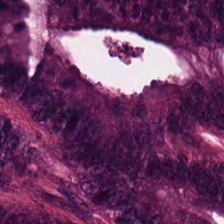0.5 µm per pixel · H&E — Q: What is shown here?
A: It is colorectal adenocarcinoma epithelium.
